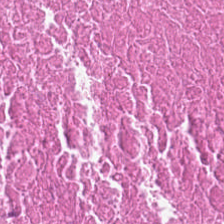H&E-stained tissue section — The tissue here is debris.
